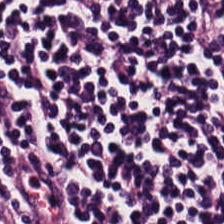Q: What does this patch show?
A: Lymphocytic infiltrate.
